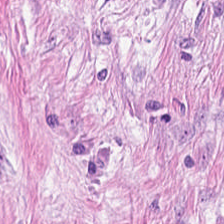H&E · FFPE.
This patch shows tumor stroma.
